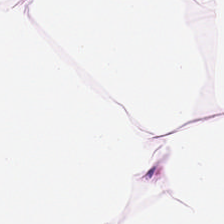H&E — fat tissue.
